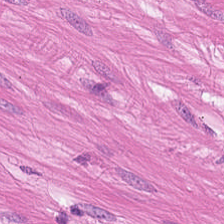0.5 microns per pixel. H&E stain. Brightfield.
Muscularis.
